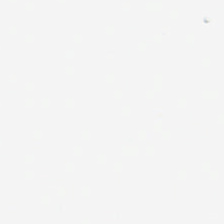Stain: hematoxylin and eosin.
Preparation: FFPE.
Content: background (no tissue).
